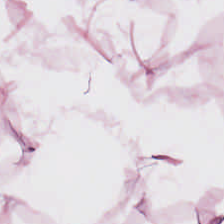Stain: H&E-stained tissue section.
Tissue: adipose tissue.
